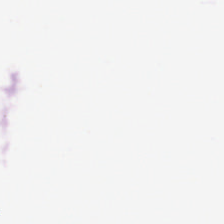H&E stain. Whole-slide-image patch. 224×224 pixel tile — The content is background (no tissue).
